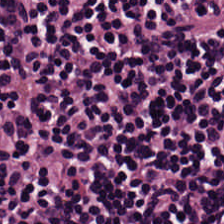Hematoxylin-and-eosin stained section. The tissue class is lymphocyte aggregate.
